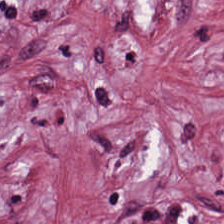H&E. Q: Classify this patch.
A: It is cancer-associated stroma.
